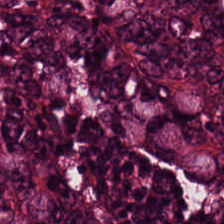Stain: H&E.
Acquisition: brightfield.
Predominant tissue: tumor epithelium.
